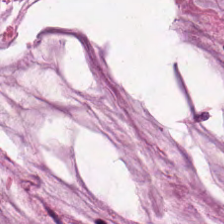H&E stain · whole-slide-image patch · 224×224 px tile — Mucin.
